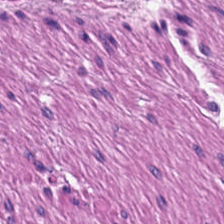H&E-stained tissue section.
This field is smooth-muscle tissue.
